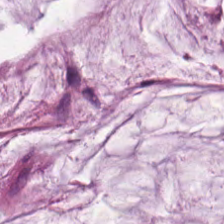Stain: hematoxylin and eosin.
Tissue: mucus.
